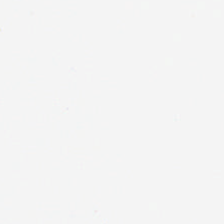Brightfield. Hematoxylin-and-eosin stained section — The content is background.
